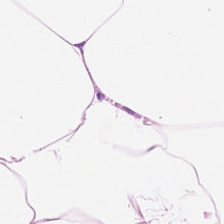Hematoxylin and eosin · WSI patch — {"tissue_type": "adipocytes"}
